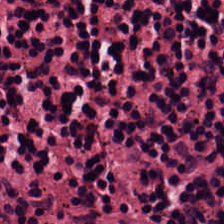The tissue type is lymphocyte aggregate.
